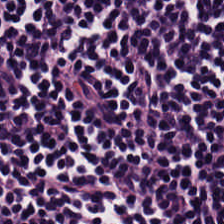Formalin-fixed paraffin-embedded section. H&E.
Tissue type: lymphocytic infiltrate.
